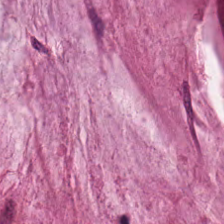Hematoxylin and eosin. The predominant tissue is mucin.
